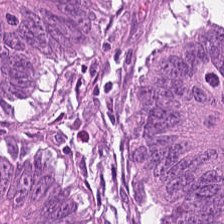224×224 px tile; hematoxylin-and-eosin stained section.
Showing adenocarcinoma.
